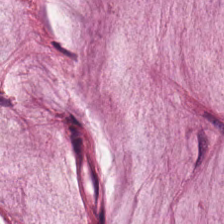0.5 microns per pixel · 224×224 pixel tile · H&E stain.
Showing extracellular mucin.
